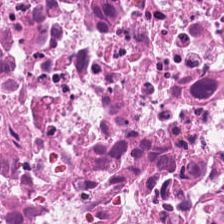Stain: H&E-stained tissue section.
Resolution: 0.5 µm per pixel.
Predominant tissue: necrotic debris.
